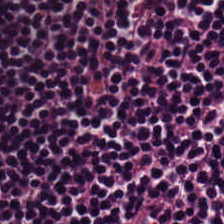WSI patch · H&E stain · FFPE tissue section.
Showing lymphocytic infiltrate.
